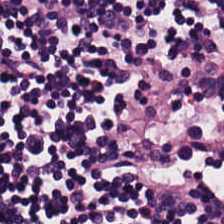H&E.
Tissue type — lymphocytic infiltrate.
